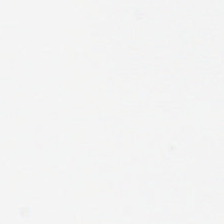0.5 µm per pixel; hematoxylin and eosin; formalin-fixed paraffin-embedded section — Q: What is shown in this field?
A: This is empty background.
